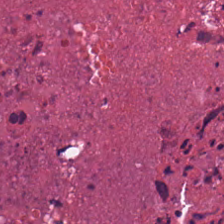Stain: H&E-stained tissue section.
Tissue type: debris.
